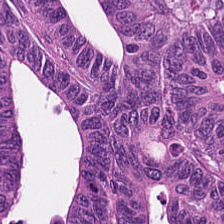H&E stain; 224×224 px patch. {"tissue_type": "malignant epithelium"}
